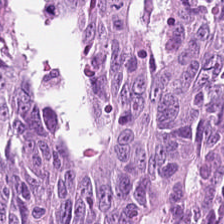H&E.
Predominant tissue — tumor epithelium.
